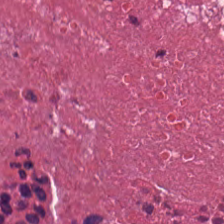H&E stain; WSI patch. The tissue class is debris.
